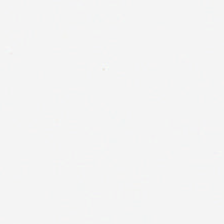0.5 µm/px · hematoxylin and eosin.
Background — no tissue in this field.
